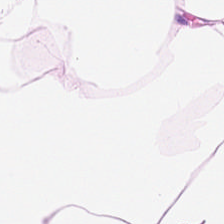Brightfield; FFPE tissue section; H&E stain — Tissue type — fat tissue.
